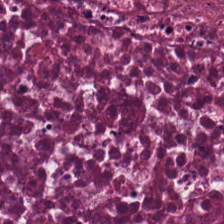Stain: hematoxylin and eosin.
Acquisition: brightfield.
Predominant tissue: cellular debris.
